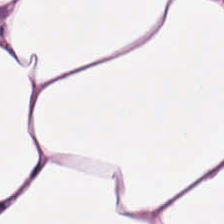Q: What tissue type is shown here?
A: This is adipose tissue.
